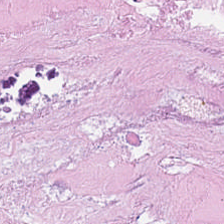20× equivalent magnification · H&E stain · 224×224 px patch.
The classification is necrotic debris.
